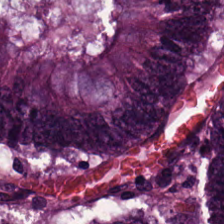H&E-stained tissue section — The predominant tissue is colorectal adenocarcinoma.
